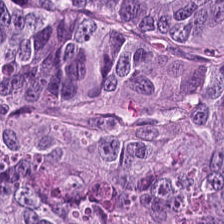Hematoxylin-and-eosin stained section — The tissue here is malignant epithelium.
